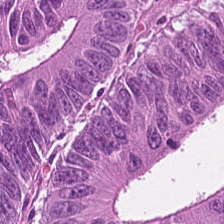224×224 pixel tile. H&E-stained tissue section.
Colorectal adenocarcinoma.
